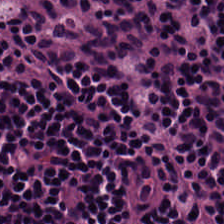224×224 px patch. Whole-slide-image patch. H&E-stained tissue section.
Histology → lymphocyte aggregate.
